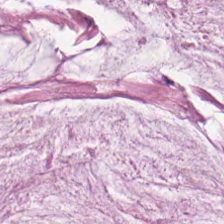20× equivalent magnification; hematoxylin-and-eosin stained section. Q: What is shown here?
A: The field shows extracellular mucin.
